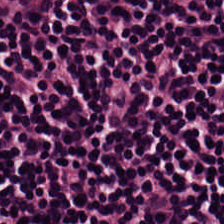The tissue class is lymphocytic infiltrate.
